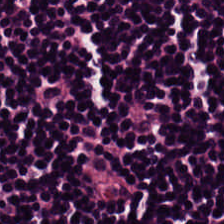Formalin-fixed paraffin-embedded section · H&E — Predominant tissue = lymphocytic infiltrate.
